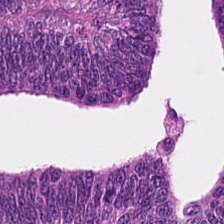Classification = malignant epithelium.
